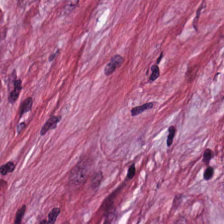FFPE; H&E stain. Tissue type: tumor-associated stroma.
